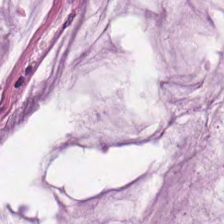H&E. Predominantly extracellular mucin.
